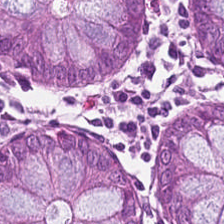Hematoxylin-and-eosin stained section. Formalin-fixed paraffin-embedded section. Predominant tissue = benign colonic mucosa.
